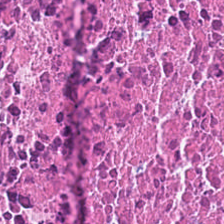Q: What is the predominant tissue type?
A: It is debris.
